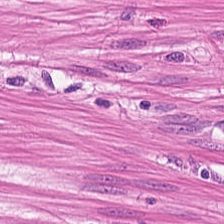H&E-stained tissue section. 0.5 µm/px — This patch shows smooth-muscle tissue.
